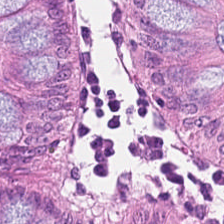Hematoxylin and eosin · 0.5 microns per pixel.
The predominant tissue is non-neoplastic colon mucosa.
